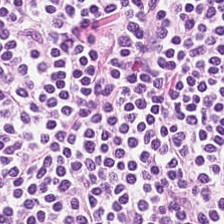{"tissue_type": "lymphocyte aggregate"}
